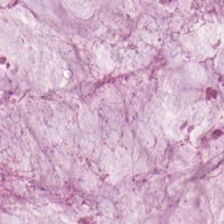Predominantly extracellular mucin.
